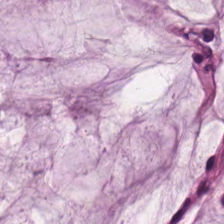Hematoxylin-and-eosin stained section; FFPE; 0.5 µm/px. Histology — mucin.
